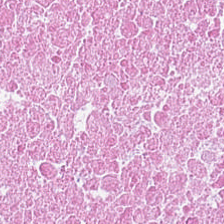Tissue class — debris.
